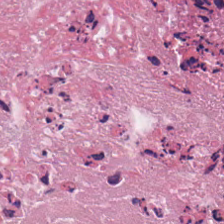Stain: hematoxylin and eosin.
Tissue class: necrotic debris.
